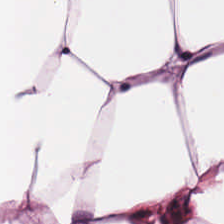0.5 microns per pixel · H&E-stained tissue section.
{"tissue_type": "adipose tissue"}
